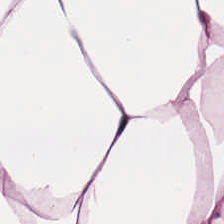H&E-stained tissue section.
Classification = adipose.
